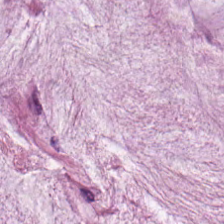H&E-stained tissue section. The tissue here is extracellular mucin.
